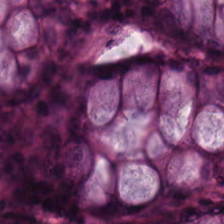H&E patch showing normal colon mucosa.
